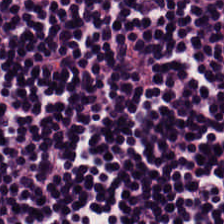H&E stain — This field is lymphocytic infiltrate.
